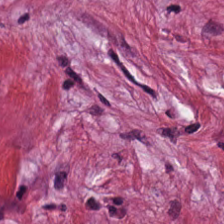H&E — Histology → cancer-associated stroma.
